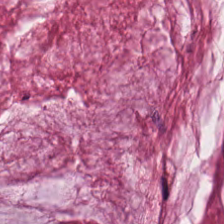Hematoxylin-and-eosin stained section. Tissue: extracellular mucin.
